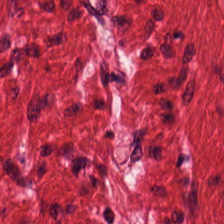The tissue here is muscularis.
